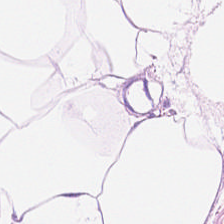Hematoxylin and eosin. 0.5 µm per pixel.
Predominantly fat tissue.
